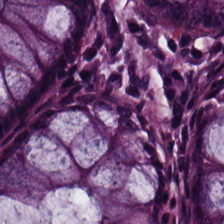Brightfield · 0.5 µm per pixel · H&E. Predominantly normal colon mucosa.
